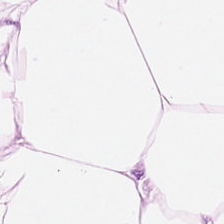H&E stain; 224×224 pixel tile; whole-slide-image patch. Predominantly fat tissue.
